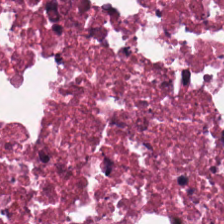H&E — Classification — debris.
